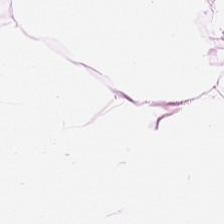Predominant tissue: adipose tissue.
